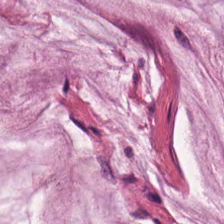0.5 µm/px; hematoxylin-and-eosin stained section; WSI patch. Q: What tissue is shown?
A: This is mucin.
